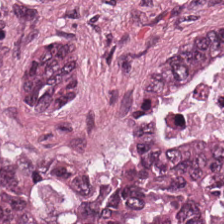Stain: hematoxylin-and-eosin stained section.
Tissue: malignant epithelium.
